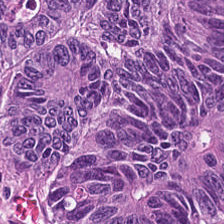H&E stain · FFPE — Predominantly tumor epithelium.
